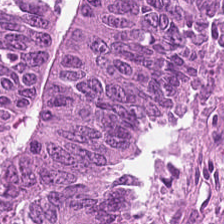Hematoxylin-and-eosin stained section — Impression — colorectal adenocarcinoma.
